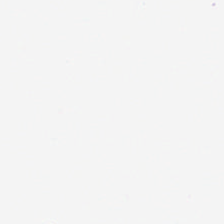Hematoxylin-and-eosin stained section · 224×224 pixel tile. Q: Classify this patch.
A: It is background.
